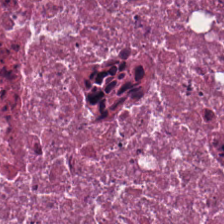Brightfield microscopy · hematoxylin-and-eosin stained section.
Tissue: debris.
